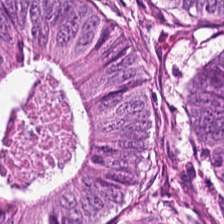H&E-stained tissue section showing malignant epithelium.
